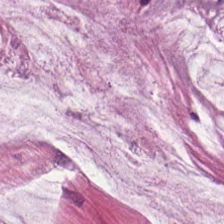H&E — extracellular mucin.
